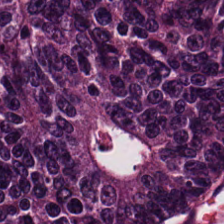H&E.
Predominantly colorectal adenocarcinoma.
